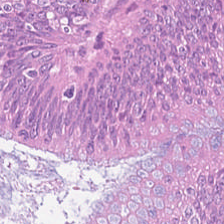20× equivalent magnification · H&E stain — Q: What does this patch show?
A: Colorectal adenocarcinoma epithelium.
